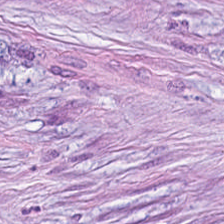224×224 px patch; hematoxylin-and-eosin stained section; brightfield.
Tissue type — tumor-associated stroma.
